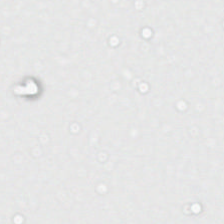224×224 px patch · H&E-stained tissue section. Background — no tissue in this field.
